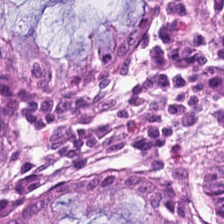Stain: H&E.
Tissue class: benign colonic mucosa.
